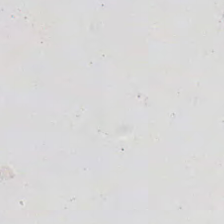Stain: hematoxylin and eosin.
Classification: empty background.
